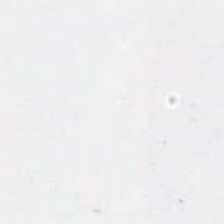Stain: hematoxylin-and-eosin stained section.
Field content: background.
